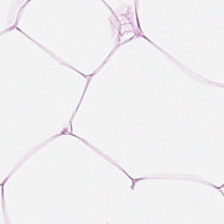H&E — Showing fat tissue.
